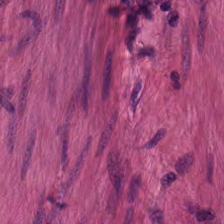Stain: H&E stain.
Acquisition: whole-slide-image patch.
Preparation: FFPE tissue section.
Tissue type: muscularis.
